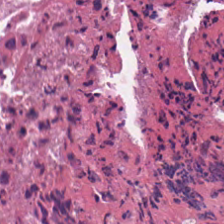H&E-stained tissue section. The tissue here is necrotic debris.
